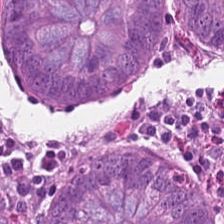H&E.
Showing normal colon mucosa.
